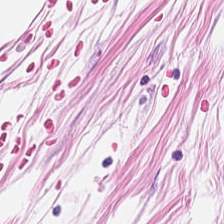Stain: hematoxylin and eosin.
Tissue type: adipose.
